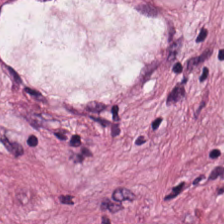20× equivalent magnification · H&E stain.
The predominant tissue is cancer-associated stroma.
